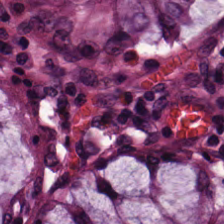Hematoxylin-and-eosin stained section.
This patch shows benign colonic mucosa.
